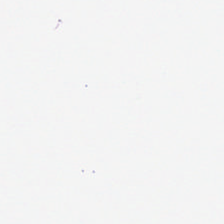{"content": "empty background"}
